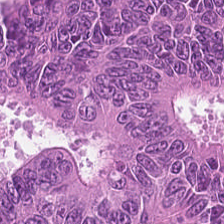Predominant tissue = adenocarcinoma.
